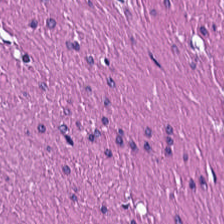H&E-stained tissue section — This patch shows smooth-muscle tissue.
